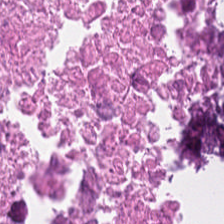Hematoxylin and eosin · 224×224 px tile · 0.5 microns per pixel — The tissue type is necrotic debris.
